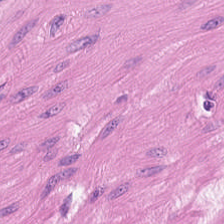Hematoxylin and eosin.
Impression → muscularis.
